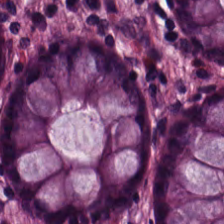Stain: hematoxylin and eosin.
Tissue: normal colonic mucosa.
